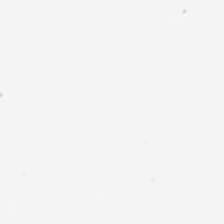H&E.
Histology — empty background.
